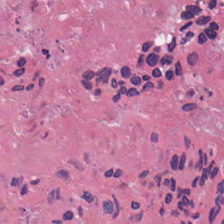H&E-stained tissue section.
Tissue — necrotic debris.
